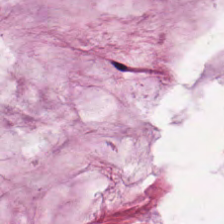224×224 pixel tile. Hematoxylin-and-eosin stained section — Histology — extracellular mucin.
